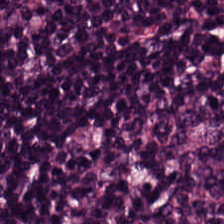H&E stain — Lymphoid infiltrate.
